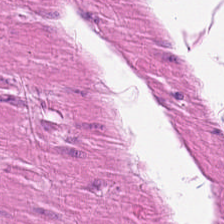H&E · FFPE — Showing smooth-muscle tissue.
